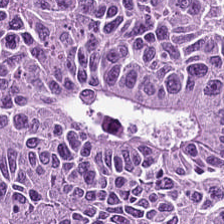Whole-slide-image patch. H&E-stained tissue section — Q: What is shown in this field?
A: Adenocarcinoma.
